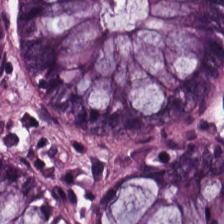H&E-stained section; the field shows normal colon mucosa.
